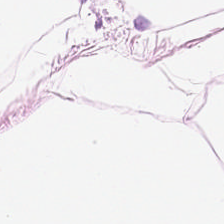Stain: hematoxylin and eosin.
Classification: adipocytes.
